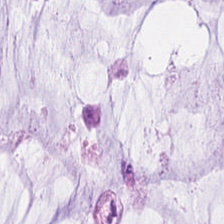224×224 pixel tile; brightfield microscopy; H&E stain. Q: Identify the tissue.
A: This is mucin.
